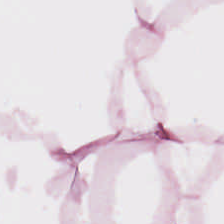224×224 px tile · hematoxylin-and-eosin stained section · 0.5 microns per pixel.
Tissue class = adipose tissue.
